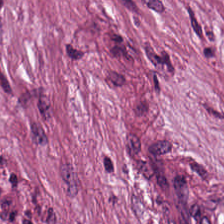Hematoxylin and eosin · 224×224 px patch. Predominant tissue — cancer-associated stroma.
